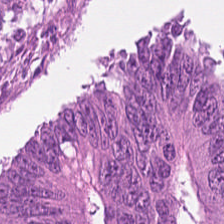224×224 px patch. H&E-stained tissue section. 0.5 µm/px — The tissue is colorectal adenocarcinoma epithelium.
